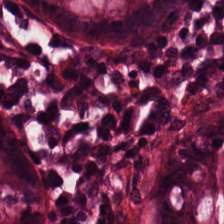Brightfield microscopy; hematoxylin-and-eosin stained section; FFPE. Histology → normal colonic mucosa.
